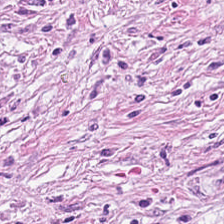FFPE · hematoxylin and eosin.
Tissue type — cancer-associated stroma.
